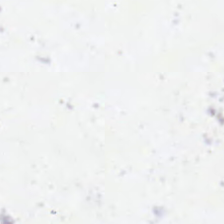This field is background (no tissue).
